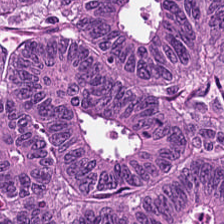This patch shows colorectal adenocarcinoma.
